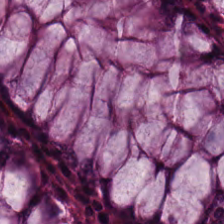H&E stain. The tissue is normal colon mucosa.
